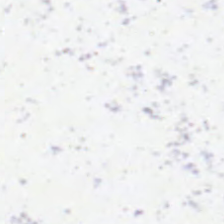Hematoxylin and eosin. Impression → empty background.
